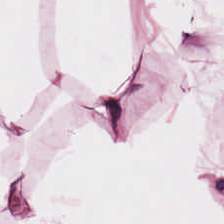FFPE · hematoxylin-and-eosin stained section.
Finding → adipose.
